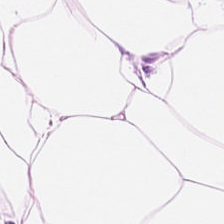Hematoxylin-and-eosin section: adipose tissue.
